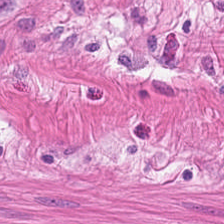This field is muscularis.
